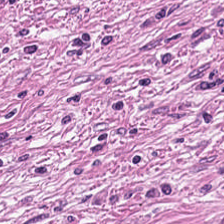224×224 px patch · hematoxylin and eosin. This field is tumor stroma.
